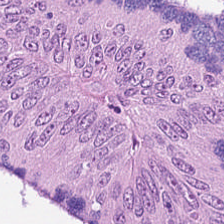Stain: H&E-stained tissue section.
Resolution: 0.5 microns per pixel.
Tissue class: colorectal adenocarcinoma epithelium.
